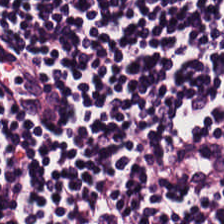Hematoxylin and eosin. FFPE. Whole-slide-image patch.
Tissue: lymphocyte aggregate.
